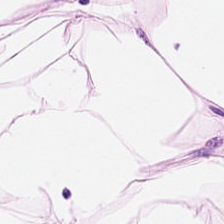H&E stain.
Classification: adipose tissue.
